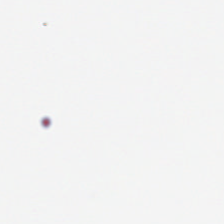Whole-slide-image patch. H&E stain.
Q: What is shown in this field?
A: Background.
